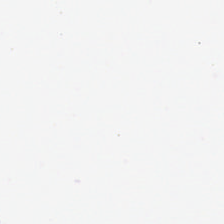Stain: H&E-stained tissue section.
Classification: empty background.
